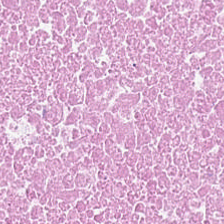H&E-stained tissue section; FFPE.
This field is necrotic debris.
